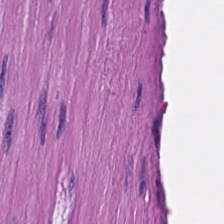Hematoxylin-and-eosin stained section. FFPE.
Tissue class: muscularis.
